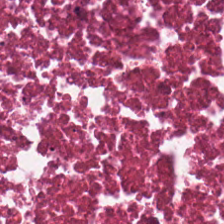H&E-stained tissue section · WSI patch — Tissue type — necrotic debris.
